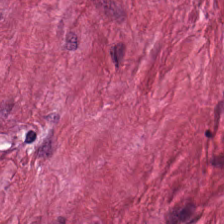Stain: H&E-stained tissue section.
Tile size: 224×224 pixel tile.
Tissue class: tumor-associated stroma.
